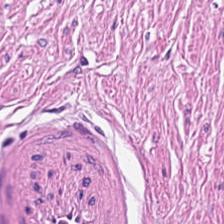Stain: H&E-stained tissue section.
Predominant tissue: muscularis.
